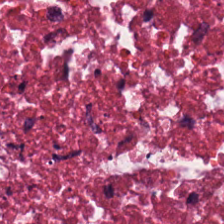Impression → necrotic debris.
